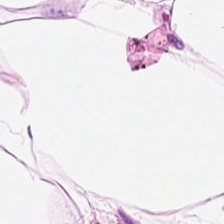Hematoxylin and eosin. FFPE tissue section — This patch shows adipose tissue.
